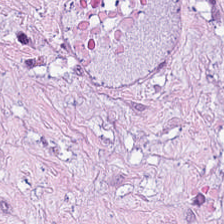20× equivalent magnification; WSI patch; hematoxylin-and-eosin stained section — Impression → tumor-associated stroma.
